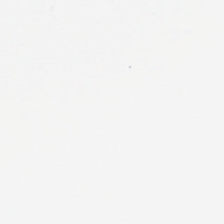Impression — empty background.
